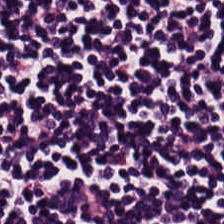Hematoxylin-and-eosin section: lymphocytes.
